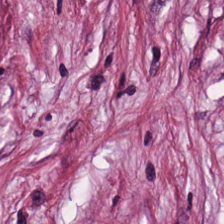Stain: H&E.
Classification: tumor stroma.
